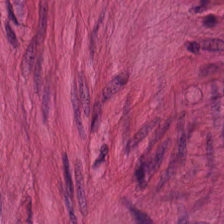H&E patch showing smooth muscle.
